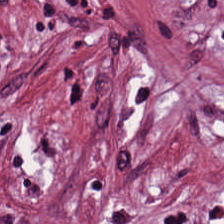Brightfield microscopy; formalin-fixed paraffin-embedded section; H&E-stained tissue section. Tissue: tumor stroma.
